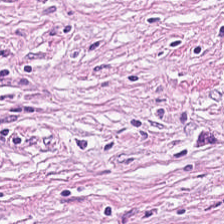Stain: H&E.
Resolution: 0.5 µm/px.
Tissue type: cancer-associated stroma.
